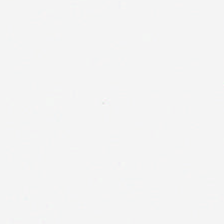Brightfield microscopy. Hematoxylin and eosin. Formalin-fixed paraffin-embedded section. The content is background.
